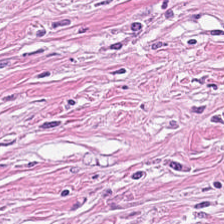H&E-stained tissue section — Q: Identify the tissue.
A: This is cancer-associated stroma.
